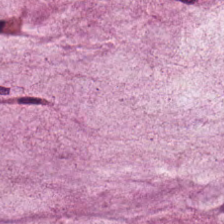H&E-stained tissue section; 0.5 microns per pixel. The predominant tissue is mucus.
